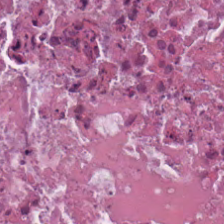Brightfield · H&E — Finding — debris.
